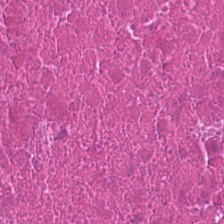H&E patch showing cellular debris.
